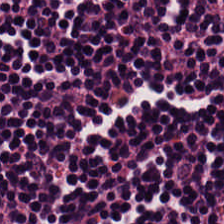FFPE · H&E stain. The predominant tissue is lymphoid infiltrate.
